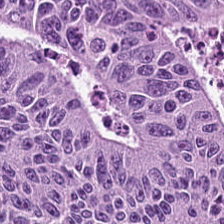Histology → colorectal adenocarcinoma epithelium.
